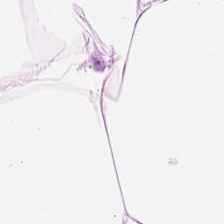H&E stain — {"tissue_type": "adipocytes"}
